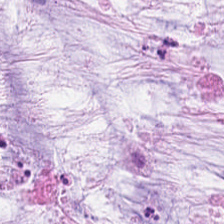Showing mucus.
